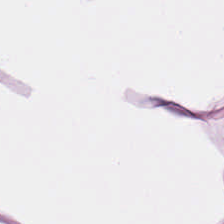Stain: H&E-stained tissue section.
Tissue class: fat tissue.
